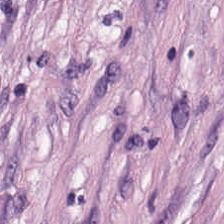H&E-stained tissue section — Tissue class: tumor stroma.
